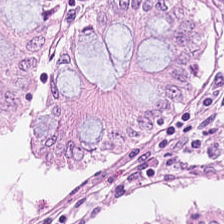H&E; brightfield.
Tissue class: normal colon mucosa.
